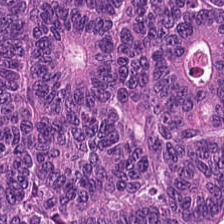Stain: H&E-stained tissue section.
Preparation: FFPE tissue section.
Tissue: malignant epithelium.
